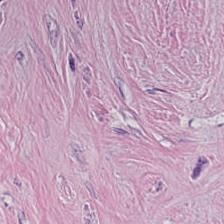Tissue class: tumor-associated stroma.
